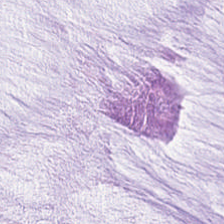H&E.
Predominantly extracellular mucin.
